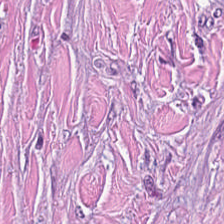Tumor stroma.
